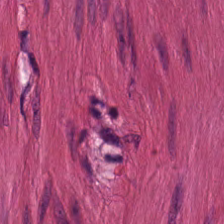Stain: H&E-stained tissue section.
Tissue: muscularis.
